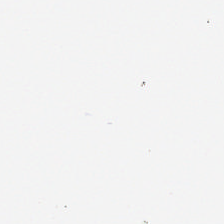H&E stain.
No tissue present; background only.
